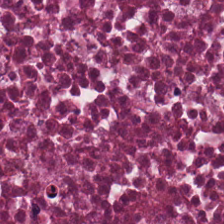H&E-stained tissue section. Q: What is the predominant tissue type?
A: This is necrotic debris.
